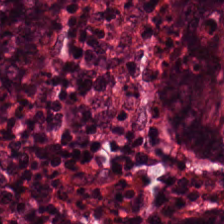Hematoxylin-and-eosin stained section — Normal colon mucosa.
